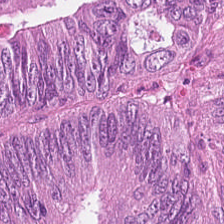H&E — Malignant epithelium.
